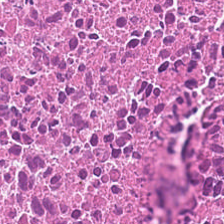FFPE tissue section · hematoxylin and eosin · 224×224 px tile.
Histology — debris.
